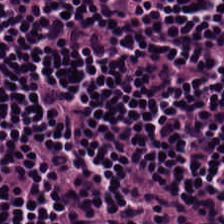224×224 pixel tile. Hematoxylin-and-eosin stained section — This field is lymphocytic infiltrate.
